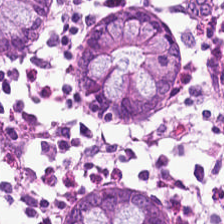The predominant tissue is normal colonic mucosa.
